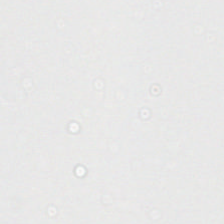Content = background.
